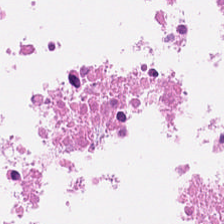Stain: H&E stain.
Tissue class: debris.
